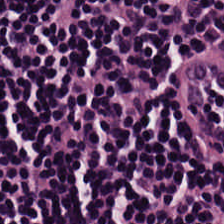Stain: hematoxylin-and-eosin stained section.
Classification: lymphocytes.
